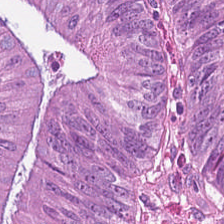Hematoxylin-and-eosin stained section — Q: Classify this patch.
A: It is malignant epithelium.
